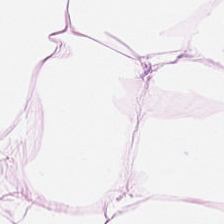H&E-stained tissue section — Classification: adipose.
